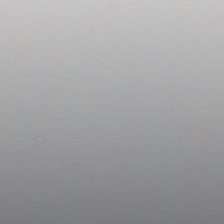Q: What does this patch show?
A: It is no tissue.
